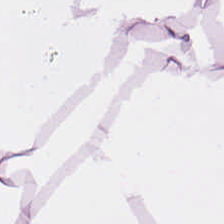Hematoxylin-and-eosin stained section · whole-slide-image patch.
This field is fat tissue.
